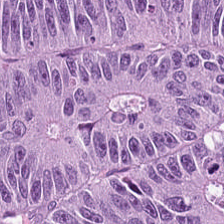H&E-stained tissue section. FFPE tissue section — Adenocarcinoma.
